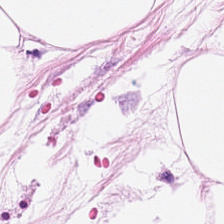H&E — adipose tissue.
